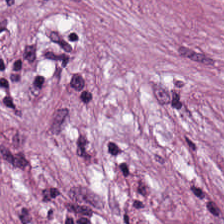Hematoxylin-and-eosin stained section. Tissue: cancer-associated stroma.
